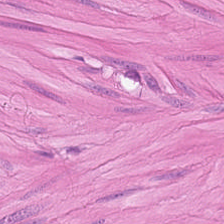Showing smooth-muscle tissue.
